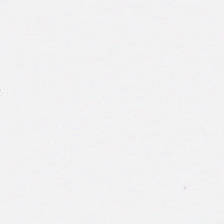H&E stain. Q: What does this patch show?
A: No tissue.
